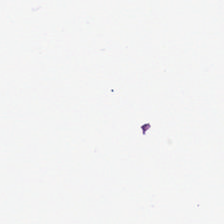Hematoxylin and eosin — Background — no tissue in this field.
